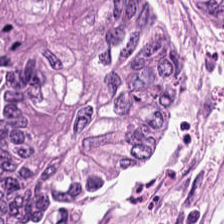Stain: hematoxylin-and-eosin stained section.
Preparation: FFPE.
Classification: colorectal adenocarcinoma.
